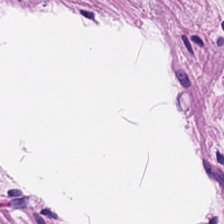Brightfield; H&E-stained tissue section. Tissue — smooth-muscle tissue.
